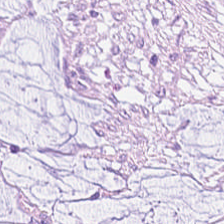Hematoxylin-and-eosin stained section. Tissue type — mucin.
